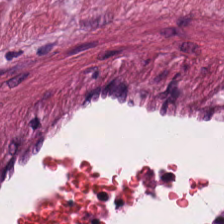Tissue type = desmoplastic stroma.
